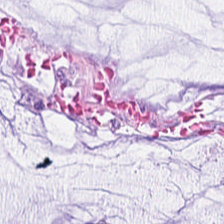Hematoxylin and eosin. The tissue class is mucus.
